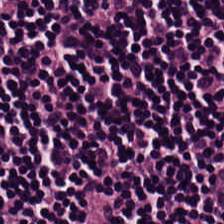This field is lymphocyte aggregate.
